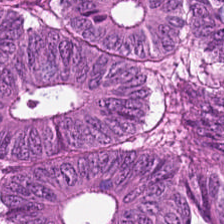FFPE tissue section · 224×224 pixel tile · hematoxylin-and-eosin stained section.
Colorectal adenocarcinoma.
